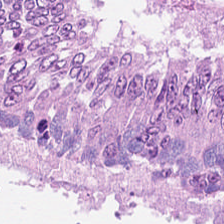FFPE tissue section. H&E-stained tissue section. 224×224 pixel tile. This field is colorectal adenocarcinoma epithelium.
